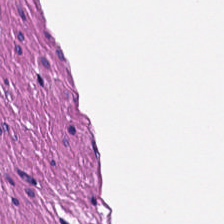Brightfield microscopy · H&E stain · FFPE tissue section.
{"tissue_type": "smooth muscle"}
